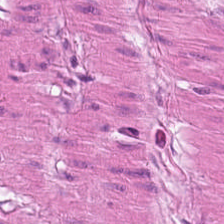{"tissue_type": "smooth-muscle tissue"}
